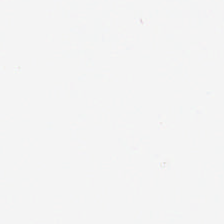The field content is empty background.
